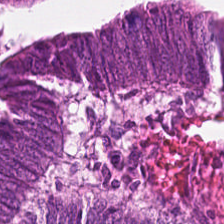The tissue is malignant epithelium.
